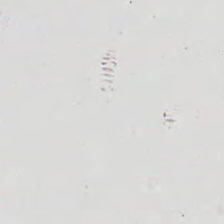Q: Classify this patch.
A: This is background.
